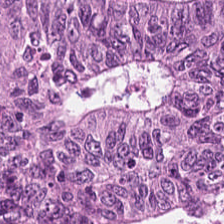FFPE. 0.5 microns per pixel. Hematoxylin and eosin. Predominantly colorectal adenocarcinoma epithelium.
